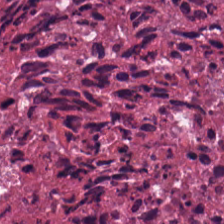224×224 pixel tile · hematoxylin and eosin.
Predominant tissue = cellular debris.
